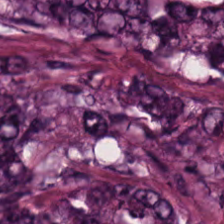Brightfield microscopy · H&E-stained tissue section.
{"tissue_type": "adenocarcinoma"}
